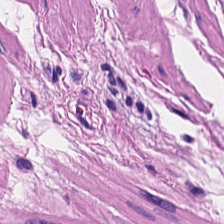H&E. Tissue = smooth-muscle tissue.
